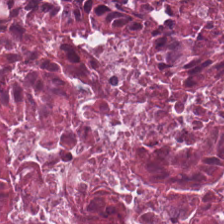Q: What tissue type is shown here?
A: This is debris.
